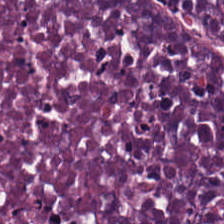Brightfield. Hematoxylin and eosin — Necrotic debris.
